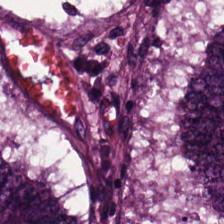H&E · formalin-fixed paraffin-embedded section.
The predominant tissue is tumor epithelium.
